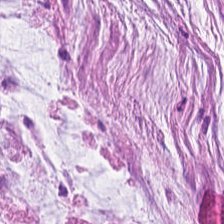Predominantly extracellular mucin.
